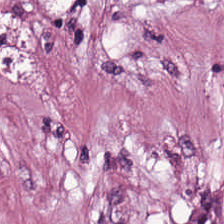H&E-stained tissue section showing tumor stroma.
